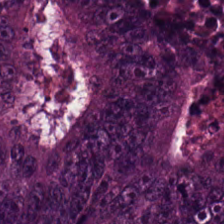224×224 px patch; H&E-stained tissue section; brightfield microscopy. Classification — colorectal adenocarcinoma.
